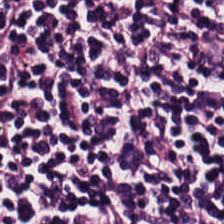224×224 pixel tile · FFPE tissue section · hematoxylin and eosin.
Predominantly lymphocytes.
